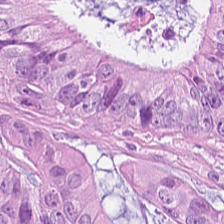Hematoxylin-and-eosin stained section — The tissue type is adenocarcinoma.
